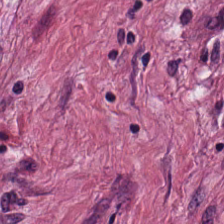Hematoxylin and eosin.
This patch shows tumor stroma.
